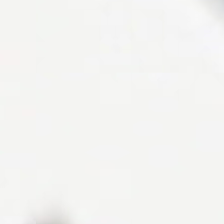H&E stain.
The classification is no tissue.
